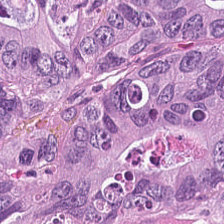20× equivalent magnification. H&E-stained tissue section. 224×224 px patch.
Tissue type: adenocarcinoma.
